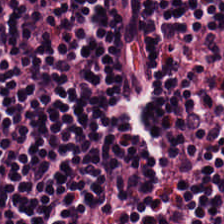H&E stain — The predominant tissue is lymphocyte aggregate.
